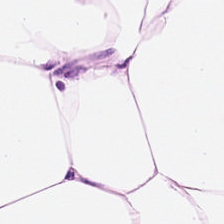Formalin-fixed paraffin-embedded section · H&E stain · 224×224 px tile.
This patch shows adipocytes.
